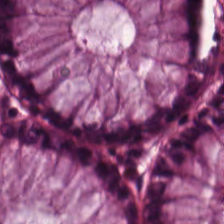Stain: H&E stain.
Predominant tissue: benign colonic mucosa.
